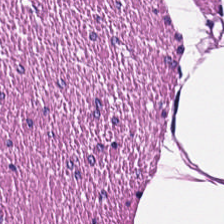Hematoxylin and eosin; brightfield — Tissue type — muscularis.
